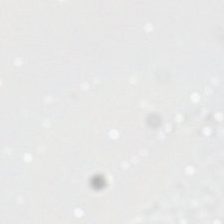Stain: H&E stain.
Acquisition: brightfield microscopy.
Tile size: 224×224 px tile.
Field content: background.
